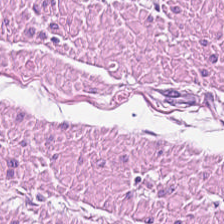H&E stain — Q: Identify the tissue.
A: The field shows smooth-muscle tissue.
